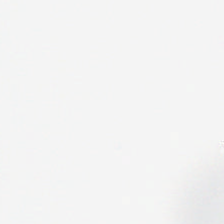H&E. Field content — no tissue.
